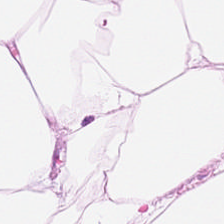H&E. Brightfield microscopy. Showing adipose tissue.
